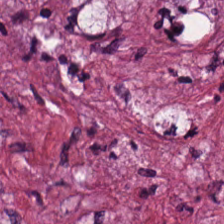H&E stain.
Q: What type of tissue is this?
A: It is cancer-associated stroma.
